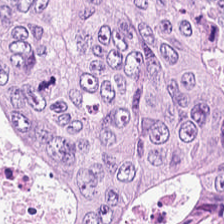0.5 µm/px; brightfield microscopy; H&E — Tissue class = colorectal adenocarcinoma epithelium.
